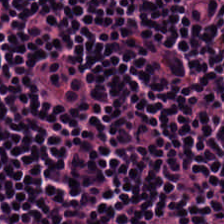H&E stain · 224×224 px tile. Classification = lymphoid infiltrate.
